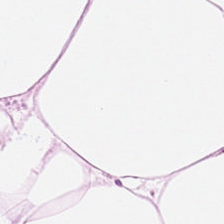Stain: hematoxylin and eosin.
Tissue: fat tissue.
